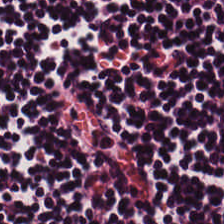This field is lymphocyte aggregate.
